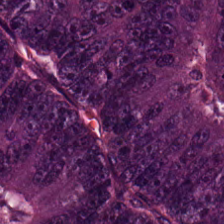H&E stain; FFPE. Tissue — adenocarcinoma.
